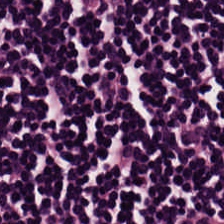224×224 px tile. Brightfield microscopy. Hematoxylin and eosin. Q: What tissue type is shown here?
A: This is lymphocytes.
